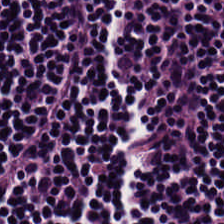H&E.
The tissue here is lymphocyte aggregate.
